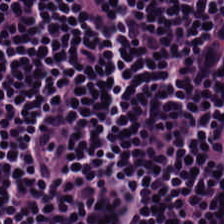Hematoxylin and eosin.
The tissue here is lymphoid infiltrate.
